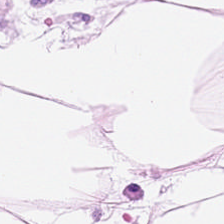Hematoxylin and eosin.
{"tissue_type": "adipose"}
